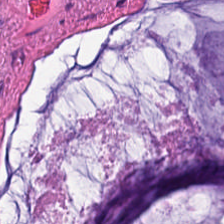Stain: hematoxylin-and-eosin stained section.
Tissue class: mucin.
